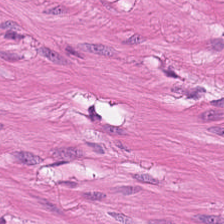H&E — muscularis.
